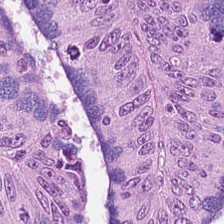FFPE · H&E stain · 20× equivalent magnification — The classification is tumor epithelium.
